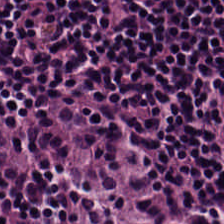Hematoxylin-and-eosin stained section. 20× equivalent magnification. Brightfield. This field is lymphoid infiltrate.
